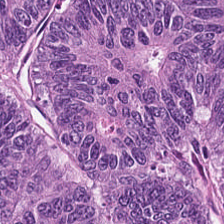Whole-slide-image patch · hematoxylin and eosin. The tissue here is colorectal adenocarcinoma.
